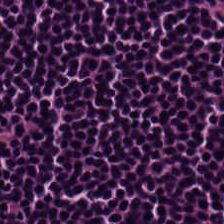0.5 µm per pixel; hematoxylin-and-eosin stained section.
This field is lymphocytic infiltrate.
